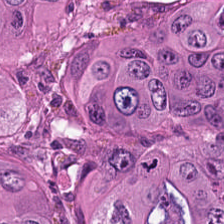Stain: hematoxylin and eosin.
Classification: colorectal adenocarcinoma.
